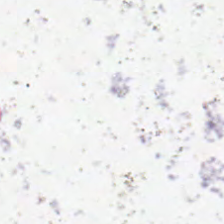{"content": "background"}
